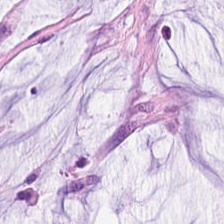H&E. Extracellular mucin.
